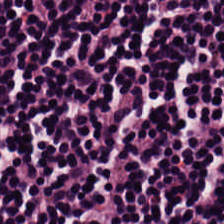Tissue type — lymphocytes.
